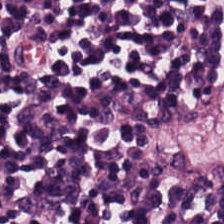FFPE tissue section. 0.5 microns per pixel. H&E stain.
Predominant tissue = lymphoid infiltrate.
